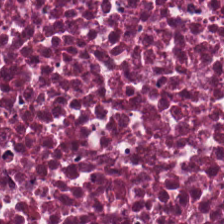Stain: H&E.
Resolution: 0.5 microns per pixel.
Tissue: debris.
